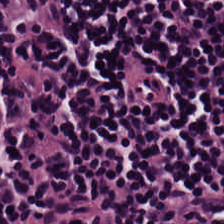Q: What is shown here?
A: This is lymphocyte aggregate.
